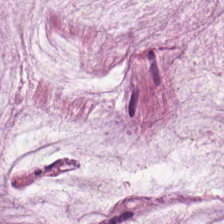0.5 microns per pixel. Hematoxylin and eosin. FFPE tissue section.
Q: What tissue type is shown here?
A: It is mucus.
